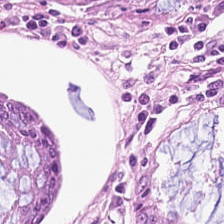H&E.
Predominantly benign colonic mucosa.
